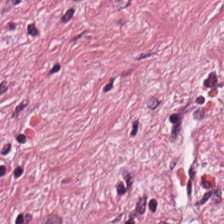Stain: hematoxylin-and-eosin stained section.
Tissue class: desmoplastic stroma.
